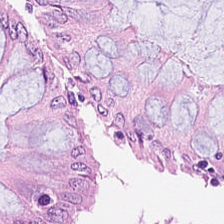Hematoxylin-and-eosin stained section — Predominant tissue: benign colonic mucosa.
